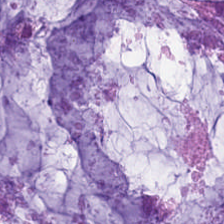FFPE · hematoxylin-and-eosin stained section.
Predominant tissue — mucin.
